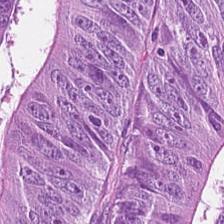H&E.
{"tissue_type": "colorectal adenocarcinoma"}
